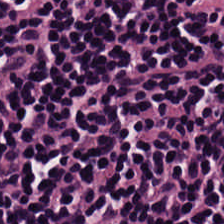224×224 px patch. FFPE. H&E-stained tissue section — Tissue: lymphoid infiltrate.
